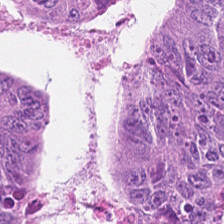H&E-stained tissue section. Brightfield microscopy. 0.5 µm/px — Showing tumor epithelium.
